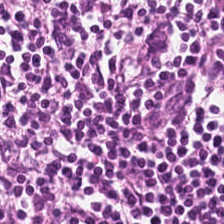H&E-stained tissue section. The predominant tissue is lymphocytic infiltrate.
